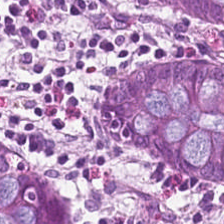0.5 µm/px; H&E — Showing benign colonic mucosa.
